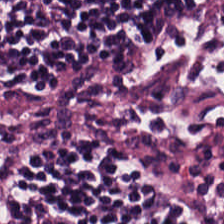H&E-stained tissue section — Showing lymphocyte aggregate.
